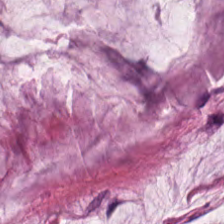H&E.
Classification: extracellular mucin.
